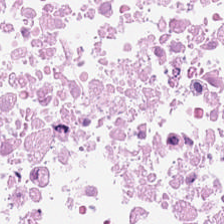FFPE · 0.5 microns per pixel · H&E stain.
Q: What is the predominant tissue type?
A: It is necrotic debris.
